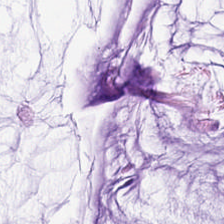H&E stain.
This field is mucin.
